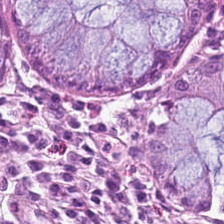Hematoxylin and eosin; 20× equivalent magnification.
{"tissue_type": "non-neoplastic colon mucosa"}
